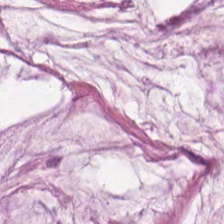Stain: hematoxylin and eosin.
Tile size: 224×224 px tile.
Resolution: 0.5 µm/px.
Predominant tissue: extracellular mucin.
